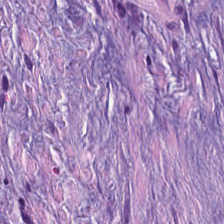H&E-stained tissue section; 0.5 microns per pixel; WSI patch. Predominantly cancer-associated stroma.
